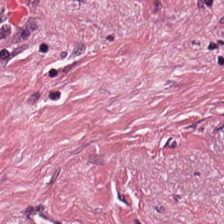H&E-stained tissue section. Predominant tissue: desmoplastic stroma.
